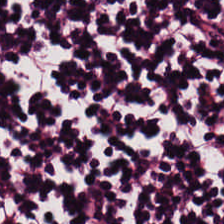H&E patch showing lymphocytes.
